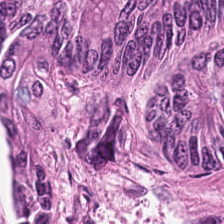0.5 µm per pixel. H&E-stained tissue section. Formalin-fixed paraffin-embedded section. Tissue = malignant epithelium.
